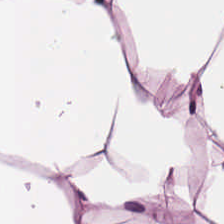Hematoxylin and eosin — Q: What is shown in this field?
A: Fat tissue.
